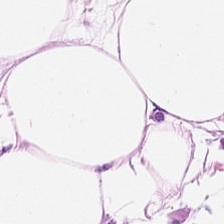Stain: hematoxylin-and-eosin stained section.
Tile size: 224×224 px patch.
Classification: adipocytes.
